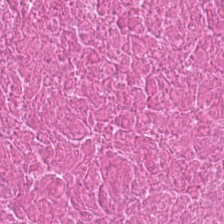Stain: hematoxylin-and-eosin stained section.
Resolution: 0.5 microns per pixel.
Preparation: FFPE.
Tissue class: cellular debris.
